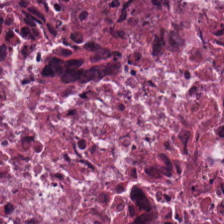H&E stain — Tissue type: cellular debris.
